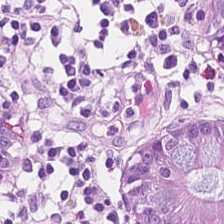H&E stain — Q: What tissue is shown?
A: It is normal colonic mucosa.
